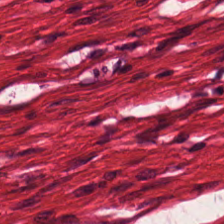Stain: hematoxylin and eosin.
Acquisition: whole-slide-image patch.
Tile size: 224×224 pixel tile.
Tissue class: muscularis.
